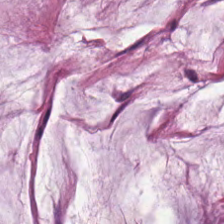Brightfield · H&E stain. Impression — mucus.
